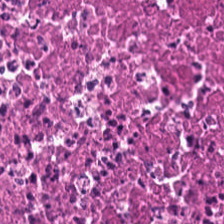Q: What tissue is shown?
A: The field shows debris.
